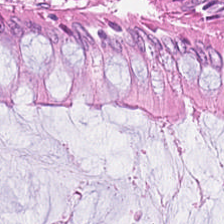224×224 pixel tile; 0.5 µm/px; H&E-stained tissue section. The tissue is normal colonic mucosa.
